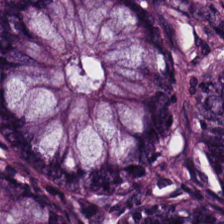H&E — Showing normal colonic mucosa.
